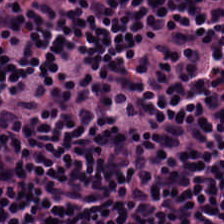H&E-stained tissue section — This field is lymphocyte aggregate.
